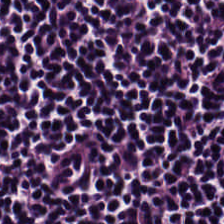WSI patch; H&E stain. Lymphocytes.
